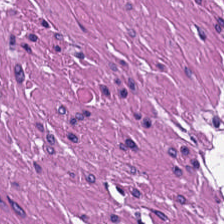Classification — smooth-muscle tissue.
